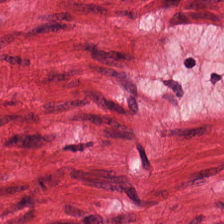Hematoxylin and eosin. Q: What does this patch show?
A: Muscularis.
